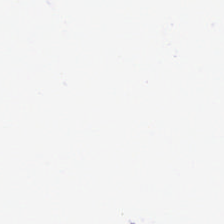Stain: H&E-stained tissue section.
Classification: no tissue.
